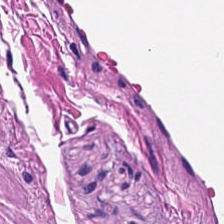This field is smooth-muscle tissue.
